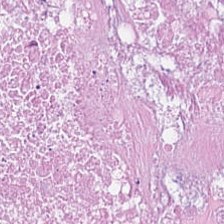Hematoxylin and eosin. Predominant tissue = cellular debris.
